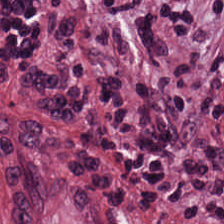224×224 pixel tile; 0.5 microns per pixel; H&E — Impression → desmoplastic stroma.
